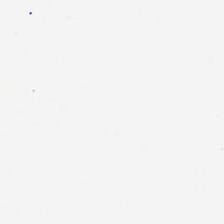The content is empty background.
